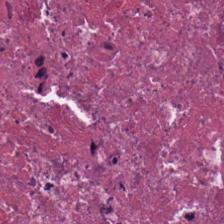H&E stain.
Showing cellular debris.
